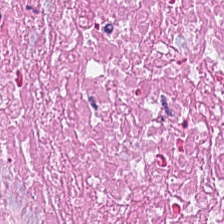Stain: hematoxylin-and-eosin stained section.
Preparation: FFPE.
Tile size: 224×224 px patch.
Predominant tissue: debris.
